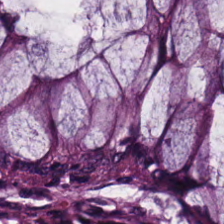Hematoxylin and eosin · brightfield microscopy. Predominant tissue: non-neoplastic colon mucosa.
